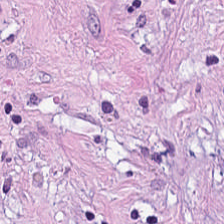Hematoxylin and eosin; WSI patch.
This field is desmoplastic stroma.
